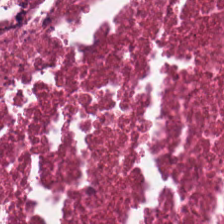Hematoxylin-and-eosin stained section.
The tissue class is necrotic debris.
